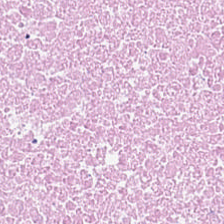H&E-stained tissue section. The tissue is cellular debris.
